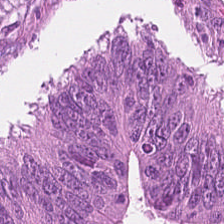H&E stain · brightfield.
Q: What is the predominant tissue type?
A: It is colorectal adenocarcinoma epithelium.
